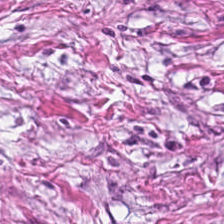224×224 px tile. H&E stain. Q: What tissue is shown?
A: It is tumor stroma.
